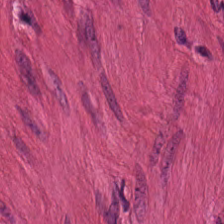Hematoxylin-and-eosin stained section.
Q: What tissue is shown?
A: The field shows smooth muscle.
